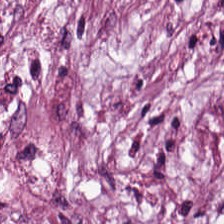The predominant tissue is tumor stroma.
